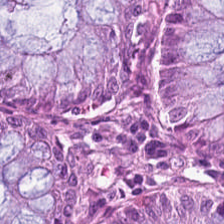Classification = normal colonic mucosa.
